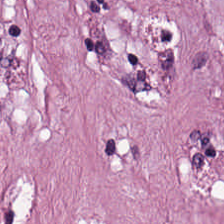224×224 px tile · H&E-stained tissue section — Predominantly desmoplastic stroma.
